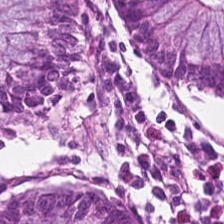Hematoxylin-and-eosin stained section.
Q: What does this patch show?
A: The field shows normal colonic mucosa.
